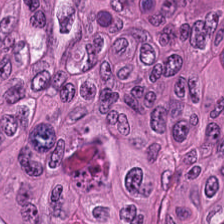Tissue class: colorectal adenocarcinoma epithelium.
